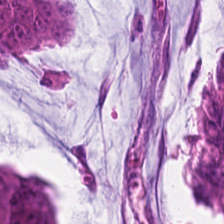Hematoxylin-and-eosin stained section · FFPE tissue section.
Tumor epithelium.
